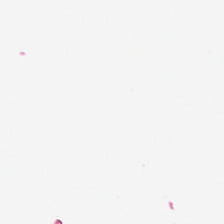Formalin-fixed paraffin-embedded section · 0.5 microns per pixel · H&E. Content: empty background.
